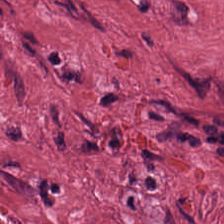H&E. Q: What does this patch show?
A: Tumor stroma.
